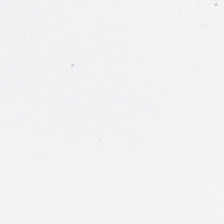Q: What is shown here?
A: The field shows background (no tissue).
